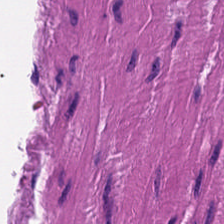Formalin-fixed paraffin-embedded section; H&E stain.
{"tissue_type": "muscularis"}
